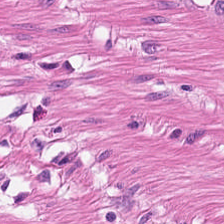0.5 µm/px; FFPE tissue section; H&E stain.
Showing muscularis.
